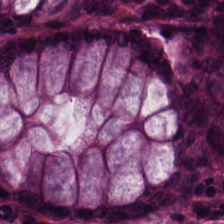Hematoxylin and eosin — Histology → normal colonic mucosa.
